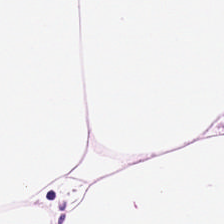Finding → adipose.
